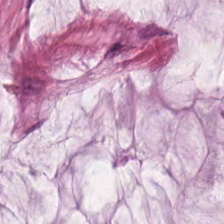Hematoxylin-and-eosin section: mucin.
